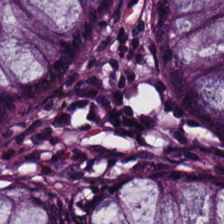Stain: H&E stain.
Tissue type: normal colonic mucosa.
